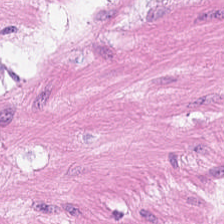Hematoxylin and eosin — Classification: smooth-muscle tissue.
